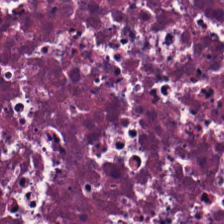H&E stain. 0.5 microns per pixel. 224×224 px tile.
Showing debris.
